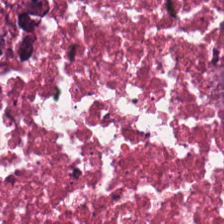Whole-slide-image patch; H&E — Histology — debris.
